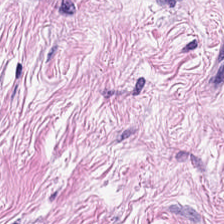Tissue — tumor-associated stroma.
